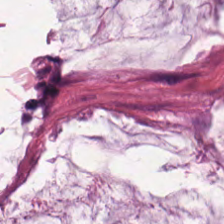Hematoxylin and eosin. The predominant tissue is mucus.
